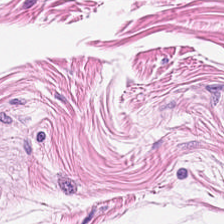FFPE tissue section · H&E · 0.5 microns per pixel.
Tissue — smooth muscle.
